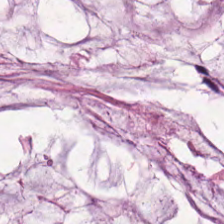Hematoxylin-and-eosin stained section. Tissue class: extracellular mucin.
